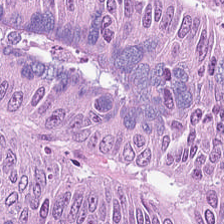20× equivalent magnification. Hematoxylin and eosin — Finding — colorectal adenocarcinoma.
